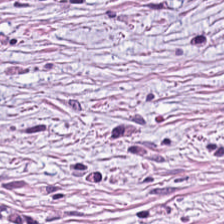H&E. 0.5 microns per pixel. The tissue here is tumor-associated stroma.
